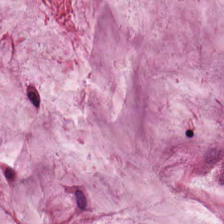The tissue here is mucin.
